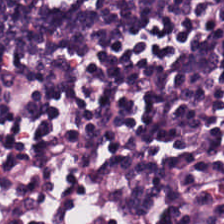0.5 µm per pixel; FFPE tissue section; H&E stain.
Tissue = lymphoid infiltrate.
